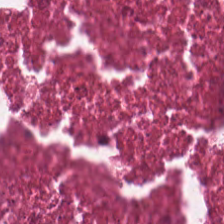H&E stain.
Cellular debris.
